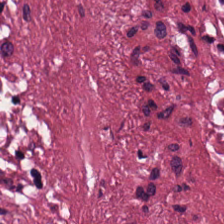Tissue = tumor stroma.
